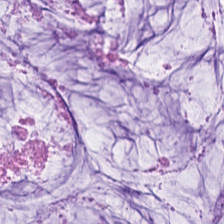Stain: H&E-stained tissue section.
Tissue class: mucus.
